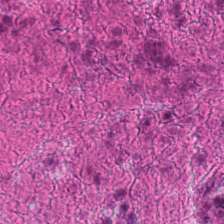Hematoxylin-and-eosin stained section.
Q: What does this patch show?
A: Cellular debris.
